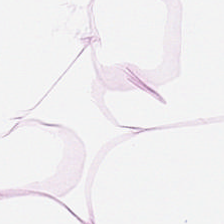Predominant tissue — fat tissue.
